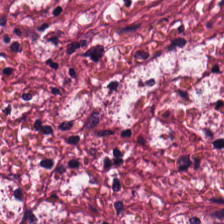Q: What tissue type is shown here?
A: This is cancer-associated stroma.
